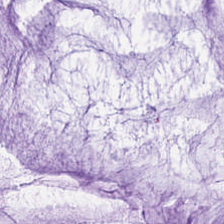Hematoxylin-and-eosin stained section. Tissue — mucus.
